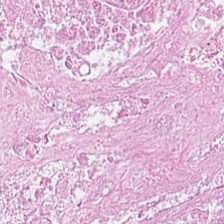FFPE; 0.5 µm/px; H&E stain — Classification — necrotic debris.
